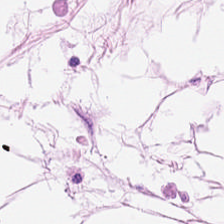This field is adipose tissue.
